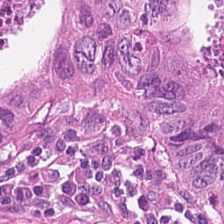Tissue — malignant epithelium.
